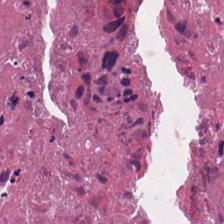Hematoxylin-and-eosin stained section — Tissue: necrotic debris.
